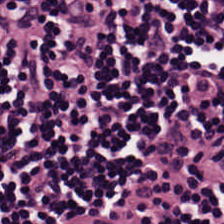The tissue class is lymphoid infiltrate.
